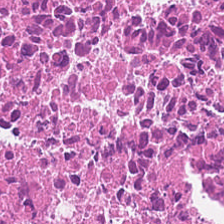Impression → cellular debris.
